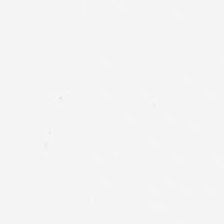H&E.
Q: What is shown in this field?
A: This is background.
